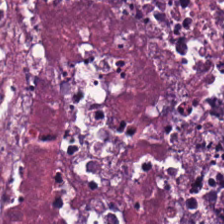Hematoxylin and eosin — Impression → cellular debris.
